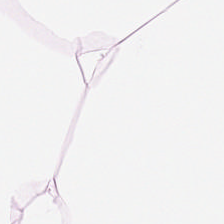Predominantly adipocytes.
